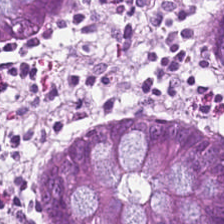H&E · 20× equivalent magnification · FFPE tissue section — Tissue — benign colonic mucosa.
